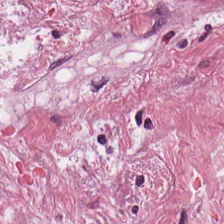224×224 pixel tile; brightfield microscopy; hematoxylin-and-eosin stained section. Q: What type of tissue is this?
A: This is tumor stroma.
